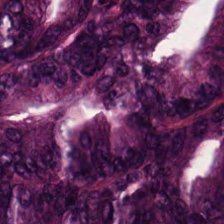Histology → tumor epithelium.
